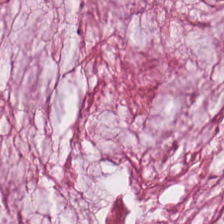Stain: H&E stain.
Tissue class: mucus.
